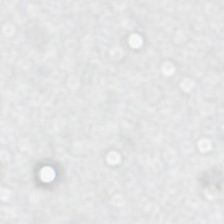0.5 µm per pixel · H&E · WSI patch.
Q: What is shown here?
A: The field shows no tissue.
